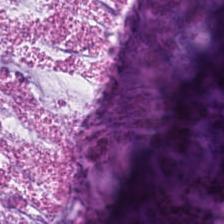Q: Classify this patch.
A: Extracellular mucin.
